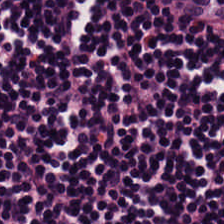Hematoxylin and eosin — Lymphocyte aggregate.
